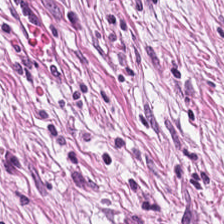The tissue type is tumor stroma.
